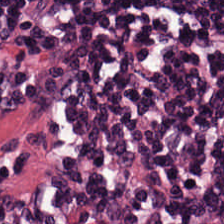FFPE. H&E-stained tissue section. Tissue class — lymphoid infiltrate.
